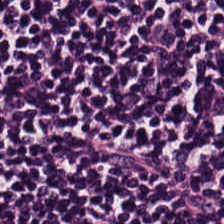Hematoxylin and eosin. Tissue type — lymphocytes.
